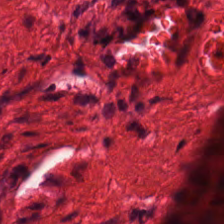H&E. 224×224 pixel tile — Predominantly muscularis.
